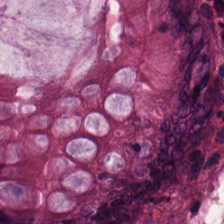H&E-stained tissue section.
Histology — non-neoplastic colon mucosa.
